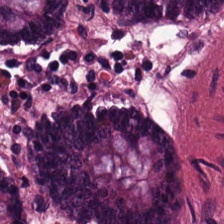Brightfield microscopy; FFPE; H&E stain.
Classification: normal colon mucosa.
